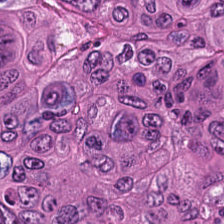Impression — malignant epithelium.
